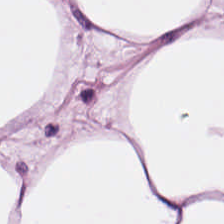H&E stain; 224×224 px patch — Classification = adipose tissue.
